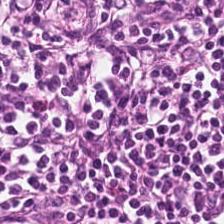H&E-stained tissue section — {"tissue_type": "lymphoid infiltrate"}
